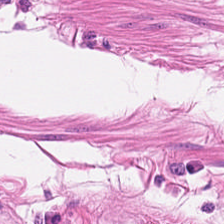224×224 px patch. Hematoxylin-and-eosin stained section. 0.5 µm/px.
Finding — smooth-muscle tissue.
